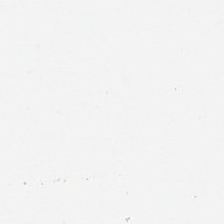20× equivalent magnification · hematoxylin and eosin. Content = no tissue.
